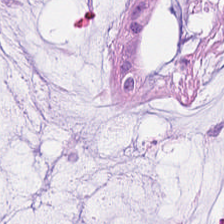H&E-stained tissue section; FFPE tissue section — Q: What is shown here?
A: Extracellular mucin.
